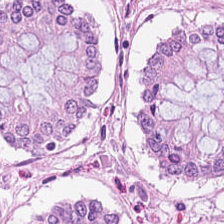Brightfield microscopy · hematoxylin and eosin.
Predominantly non-neoplastic colon mucosa.
